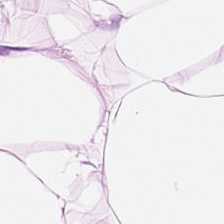{"tissue_type": "adipose"}
